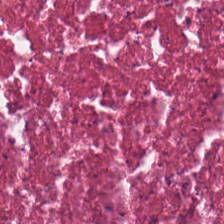Q: What is shown here?
A: It is debris.
